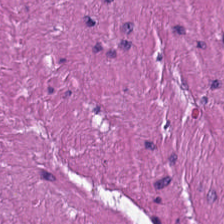20× equivalent magnification. Brightfield microscopy. H&E-stained tissue section.
Q: What type of tissue is this?
A: The field shows smooth muscle.
